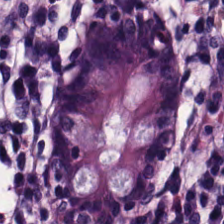Q: What tissue type is shown here?
A: The field shows normal colon mucosa.
